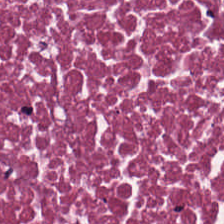Hematoxylin-and-eosin stained section; 224×224 px patch. Impression → necrotic debris.
